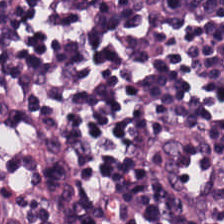Hematoxylin-and-eosin stained section; 20× equivalent magnification.
Q: What type of tissue is this?
A: The field shows lymphoid infiltrate.
